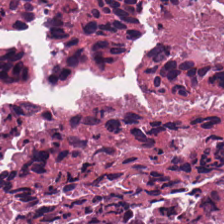Stain: H&E stain.
Tissue type: cellular debris.
